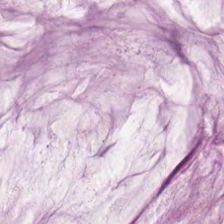H&E. FFPE tissue section — Showing mucus.
